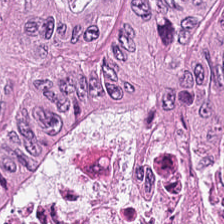Whole-slide-image patch · H&E. Predominantly colorectal adenocarcinoma.
